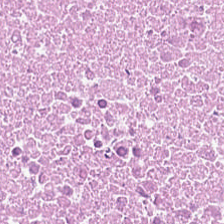H&E. Q: What is shown in this field?
A: It is debris.
